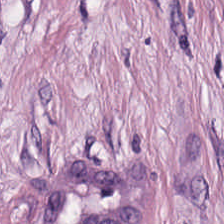H&E stain · 20× equivalent magnification.
Q: What tissue is shown?
A: The field shows tumor stroma.
